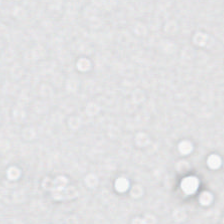Hematoxylin and eosin · FFPE tissue section.
Classification: empty background.
